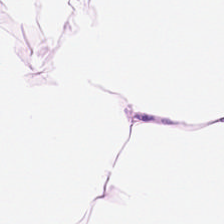Hematoxylin and eosin — This patch shows adipocytes.
